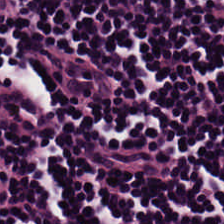H&E stain. Q: What is shown in this field?
A: The field shows lymphocytes.
